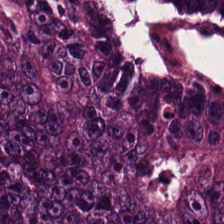Hematoxylin-and-eosin section: tumor epithelium.
